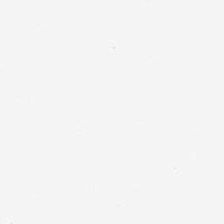WSI patch. Hematoxylin and eosin. Background — no tissue in this field.
